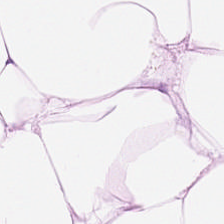Hematoxylin-and-eosin section: fat tissue.
